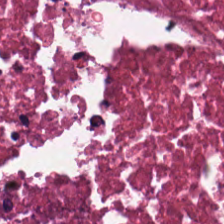Hematoxylin-and-eosin stained section. The tissue here is debris.
